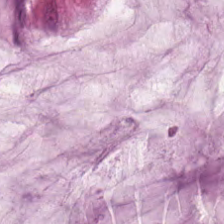Stain: hematoxylin-and-eosin stained section.
Acquisition: brightfield microscopy.
Tissue class: mucin.
